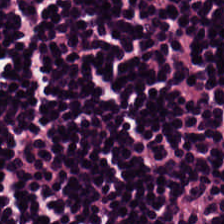Stain: H&E.
Tissue class: lymphocytic infiltrate.
